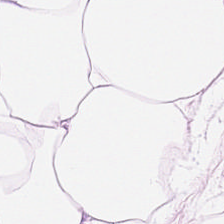Hematoxylin and eosin.
Predominantly fat tissue.
